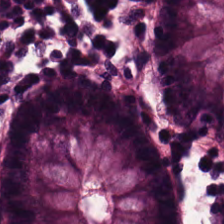Tissue: benign colonic mucosa.
